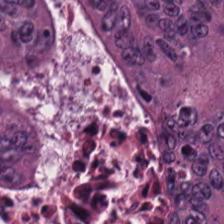Q: What tissue type is shown here?
A: Tumor epithelium.
